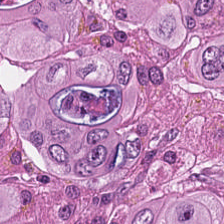Hematoxylin and eosin — This field is colorectal adenocarcinoma.
